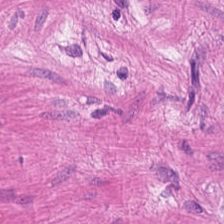Hematoxylin and eosin.
Tissue — muscularis.
